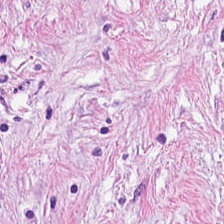Hematoxylin and eosin.
This field is tumor-associated stroma.
